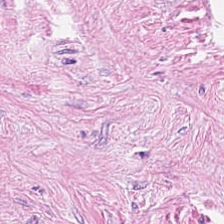Hematoxylin-and-eosin stained section — Showing tumor stroma.
